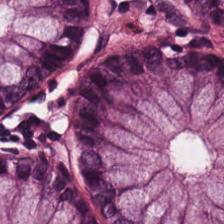Hematoxylin and eosin — The tissue here is normal colonic mucosa.
